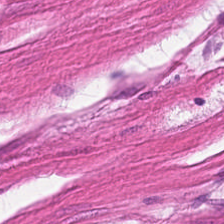H&E stain.
Q: Identify the tissue.
A: This is smooth-muscle tissue.
